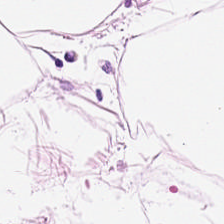Adipose.
